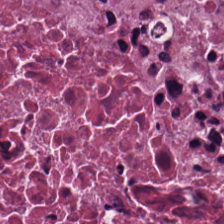224×224 pixel tile. Hematoxylin and eosin.
Q: Identify the tissue.
A: Cellular debris.
